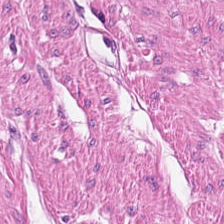Stain: H&E-stained tissue section.
Classification: muscularis.
